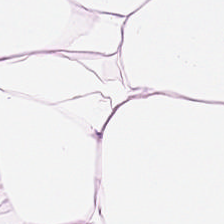H&E. 224×224 px tile. Whole-slide-image patch — Q: Identify the tissue.
A: It is adipose.
